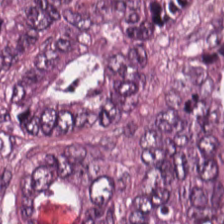The tissue here is malignant epithelium.
